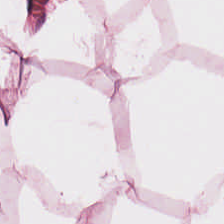Hematoxylin and eosin — Showing adipose tissue.
